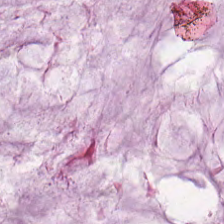H&E; 0.5 µm per pixel; whole-slide-image patch.
The tissue here is mucin.
